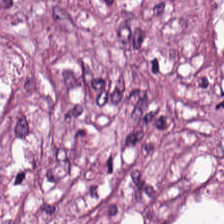Classification = desmoplastic stroma.
